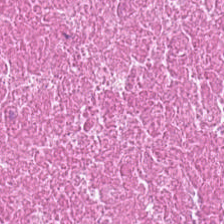H&E stain · FFPE. Tissue type: cellular debris.
